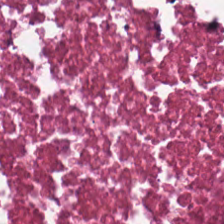Hematoxylin-and-eosin stained section.
Predominant tissue = debris.
